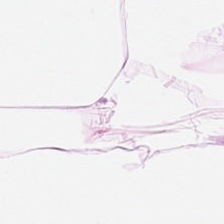Hematoxylin-and-eosin stained section — Classification = fat tissue.
